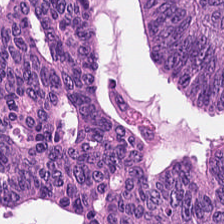H&E stain.
The tissue here is colorectal adenocarcinoma epithelium.
